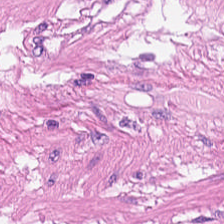FFPE. H&E stain.
Q: Identify the tissue.
A: It is smooth muscle.
